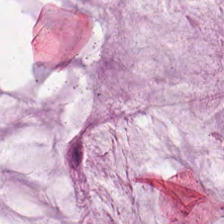20× equivalent magnification; H&E stain. Classification: mucus.
